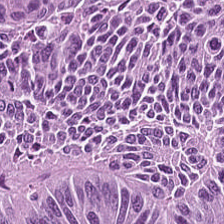Hematoxylin-and-eosin stained section · 0.5 microns per pixel — Q: What tissue is shown?
A: It is malignant epithelium.
